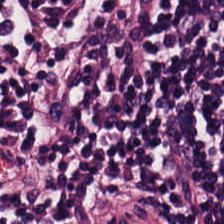Tissue class = lymphocytic infiltrate.
